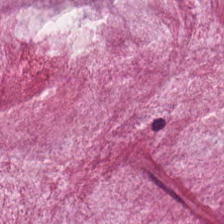224×224 pixel tile. H&E. Formalin-fixed paraffin-embedded section. Showing mucin.
